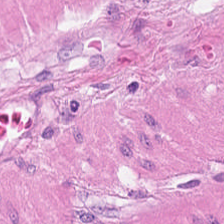Tissue type — smooth muscle.
